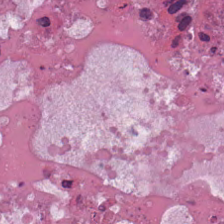H&E-stained tissue section. Showing necrotic debris.
